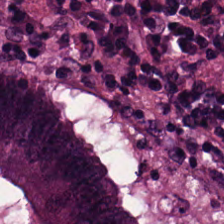H&E-stained tissue section.
Q: What tissue type is shown here?
A: It is colorectal adenocarcinoma.
